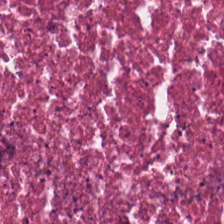H&E-stained tissue section. This field is debris.
